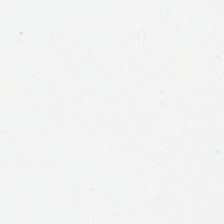H&E stain — Background.
